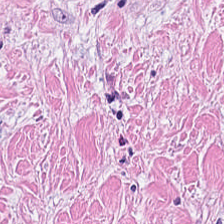Hematoxylin-and-eosin stained section · 224×224 pixel tile. Q: What is the predominant tissue type?
A: Tumor stroma.
